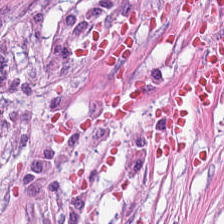Brightfield; hematoxylin and eosin; 0.5 microns per pixel. Histology — cancer-associated stroma.
